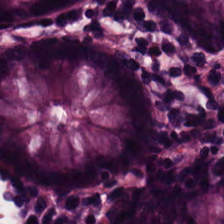Hematoxylin and eosin. Q: What does this patch show?
A: This is normal colonic mucosa.
